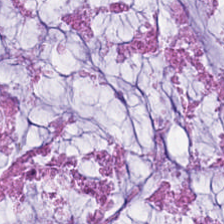Stain: hematoxylin and eosin.
Resolution: 0.5 microns per pixel.
Preparation: formalin-fixed paraffin-embedded section.
Classification: extracellular mucin.
